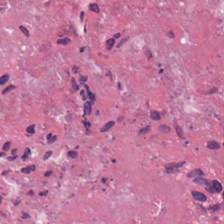H&E stain. Q: What does this patch show?
A: The field shows necrotic debris.
